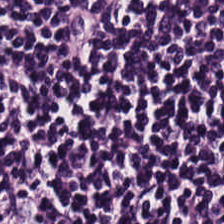H&E. Formalin-fixed paraffin-embedded section. Brightfield — Tissue = lymphocyte aggregate.
